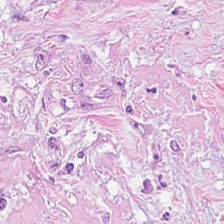This patch shows tumor-associated stroma.
